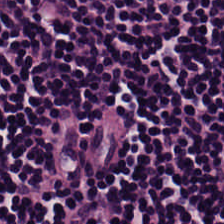Lymphocytes.
